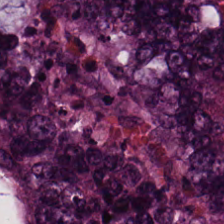H&E stain. Impression — colorectal adenocarcinoma.
